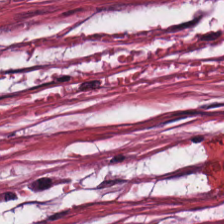H&E stain — The predominant tissue is desmoplastic stroma.
